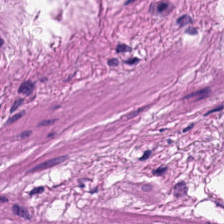Classification — smooth-muscle tissue.
